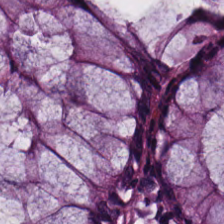H&E. The predominant tissue is normal colonic mucosa.
